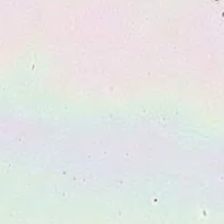224×224 px tile. Hematoxylin-and-eosin stained section. 0.5 microns per pixel.
The field content is empty background.
